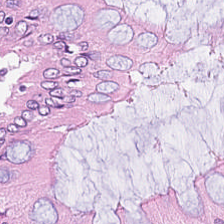Hematoxylin-and-eosin stained section; brightfield microscopy — Predominantly normal colonic mucosa.
